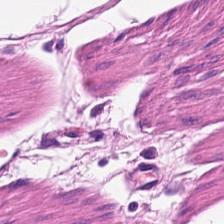Stain: H&E.
Predominant tissue: smooth muscle.
